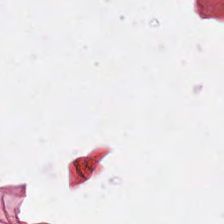No tissue.
